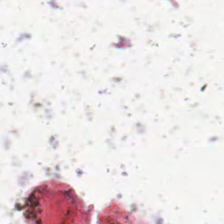Hematoxylin-and-eosin stained section · 224×224 pixel tile.
Q: What does this patch show?
A: Background.
